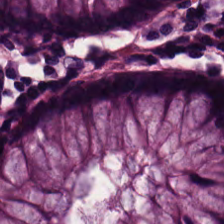H&E-stained tissue section · 20× equivalent magnification.
Classification: normal colon mucosa.
